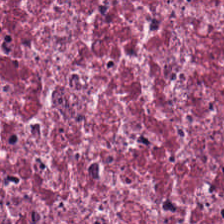H&E-stained tissue section; 224×224 px patch. Impression — tumor stroma.
